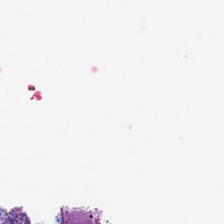H&E-stained tissue section; 224×224 px patch; formalin-fixed paraffin-embedded section — No tissue present; background only.
